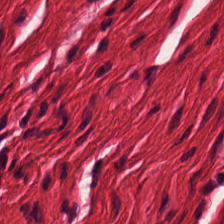Q: What is shown in this field?
A: This is muscularis.
